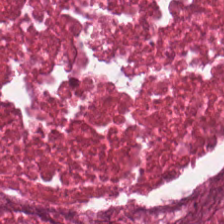H&E — This patch shows cellular debris.
